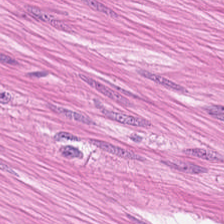Formalin-fixed paraffin-embedded section · 224×224 pixel tile · hematoxylin and eosin. The predominant tissue is smooth muscle.
